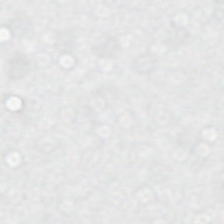H&E stain. This field is background (no tissue).
